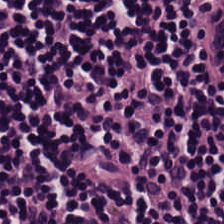Stain: H&E-stained tissue section.
Classification: lymphocytic infiltrate.
